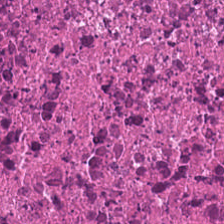Classification: necrotic debris.
